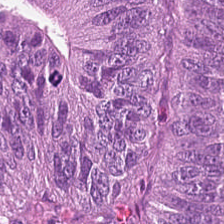H&E-stained tissue section. The predominant tissue is tumor epithelium.
